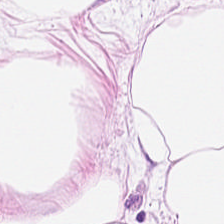Hematoxylin-and-eosin section: adipose tissue.
